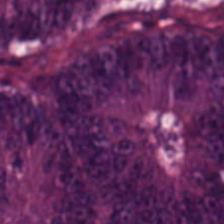Brightfield · 224×224 px tile · hematoxylin and eosin — Impression → tumor epithelium.
